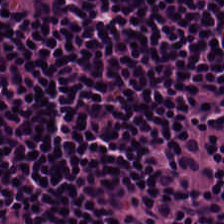Tissue type = lymphocytic infiltrate.
